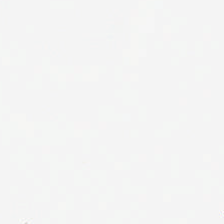FFPE tissue section. H&E. Field content = background (no tissue).
